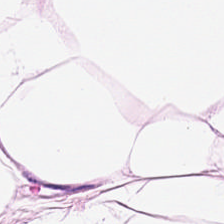H&E — Showing fat tissue.
